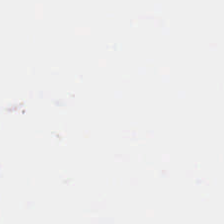Impression — empty background.
